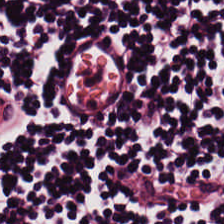H&E stain · 224×224 pixel tile. Q: What is shown in this field?
A: This is lymphoid infiltrate.
